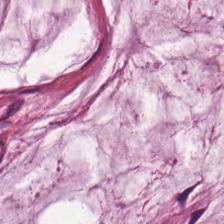Stain: hematoxylin and eosin.
Tissue class: mucin.
